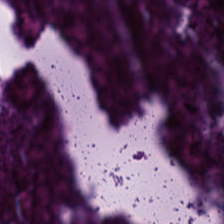H&E — debris.
